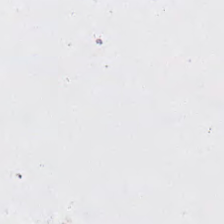Finding → empty background.
